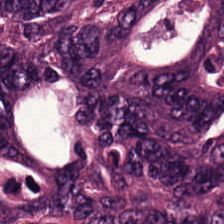Q: What type of tissue is this?
A: Colorectal adenocarcinoma epithelium.
